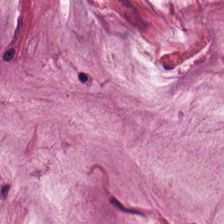H&E. Classification: mucin.
